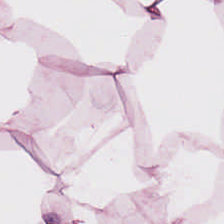H&E.
Tissue = adipose tissue.
